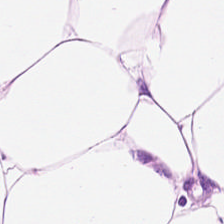Hematoxylin-and-eosin stained section · brightfield microscopy · 20× equivalent magnification. The tissue type is adipose tissue.
